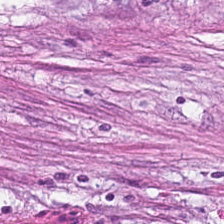H&E. Predominant tissue = tumor-associated stroma.
